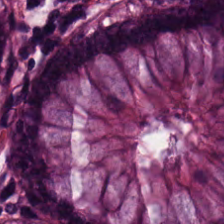WSI patch · 0.5 µm/px · H&E-stained tissue section. Benign colonic mucosa.
